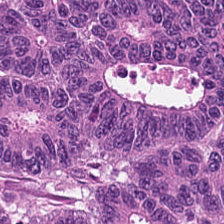Classification — adenocarcinoma.
